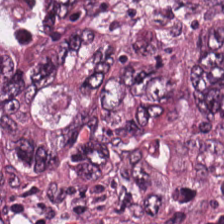224×224 pixel tile · hematoxylin and eosin. The predominant tissue is colorectal adenocarcinoma.
